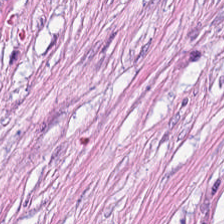Stain: hematoxylin-and-eosin stained section.
Tissue: tumor-associated stroma.
